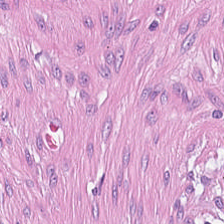Finding — desmoplastic stroma.
